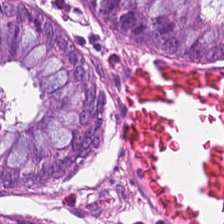Q: Identify the tissue.
A: Normal colon mucosa.
